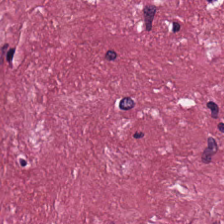H&E patch showing tumor-associated stroma.
